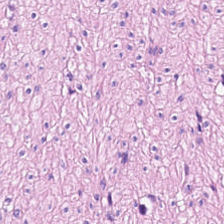Stain: H&E-stained tissue section.
Classification: muscularis.
